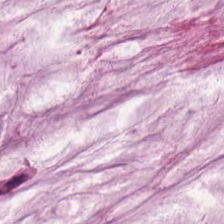Stain: hematoxylin-and-eosin stained section.
Predominant tissue: mucus.
